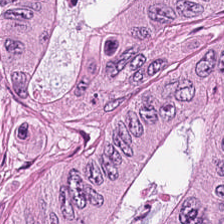Hematoxylin and eosin · 20× equivalent magnification — Predominantly adenocarcinoma.
